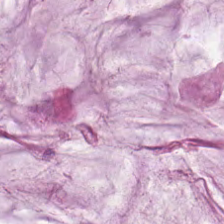H&E-stained tissue section.
Finding — mucin.
